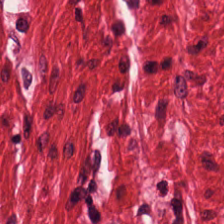H&E stain; 0.5 µm/px; brightfield.
Showing smooth muscle.
